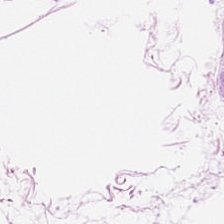H&E stain. Tissue — adipocytes.
